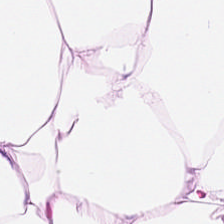Brightfield. H&E — The tissue class is adipose.
